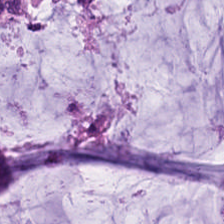Classification = extracellular mucin.
